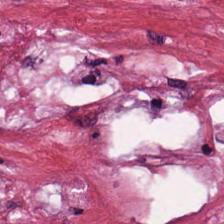The tissue here is cancer-associated stroma.
